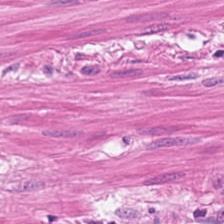H&E-stained section; the field shows smooth muscle.
